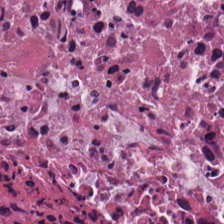H&E. WSI patch — Tissue class: necrotic debris.
